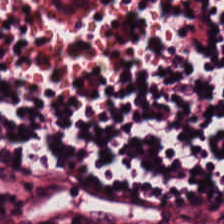Hematoxylin and eosin · brightfield microscopy.
Classification = lymphocytic infiltrate.
